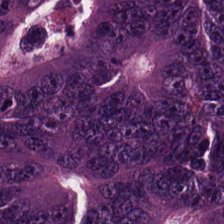Hematoxylin and eosin.
Predominantly colorectal adenocarcinoma.
